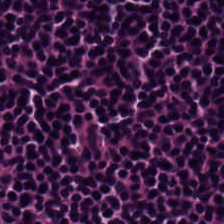Hematoxylin-and-eosin stained section.
Q: What type of tissue is this?
A: It is lymphoid infiltrate.
